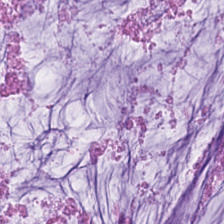Formalin-fixed paraffin-embedded section · 224×224 px tile · H&E stain.
Predominant tissue: mucus.
